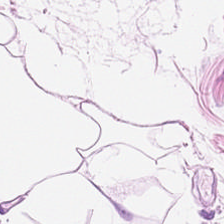Stain: H&E-stained tissue section.
Tile size: 224×224 px patch.
Tissue: adipose tissue.
